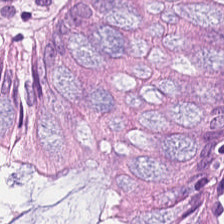H&E. Classification = normal colon mucosa.
